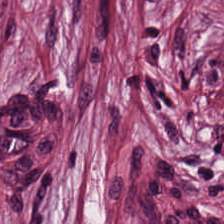H&E stain; 224×224 px tile. Q: Identify the tissue.
A: The field shows desmoplastic stroma.
